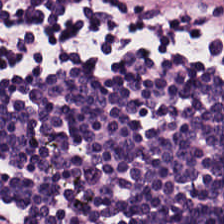H&E patch showing lymphocyte aggregate.
